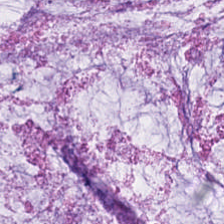Stain: H&E-stained tissue section.
Tissue class: mucin.
